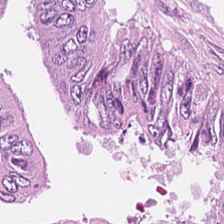Stain: H&E stain.
Tissue type: adenocarcinoma.
